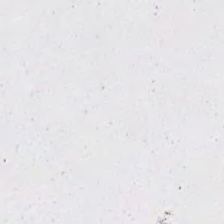H&E; formalin-fixed paraffin-embedded section — Field content = no tissue.
